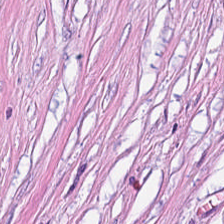Hematoxylin and eosin · 224×224 pixel tile — Showing tumor stroma.
